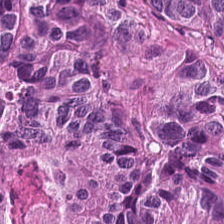Hematoxylin and eosin.
Tissue class: malignant epithelium.
